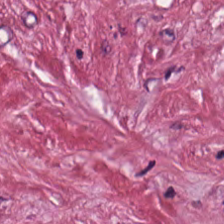H&E-stained tissue section · 0.5 µm/px · FFPE tissue section — Histology → tumor-associated stroma.
